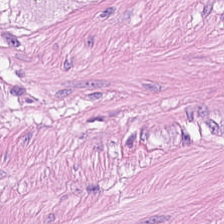H&E stain. Q: What does this patch show?
A: Smooth-muscle tissue.
